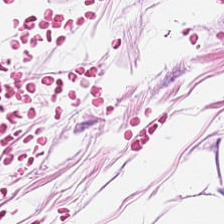H&E stain · WSI patch. This field is adipose tissue.
